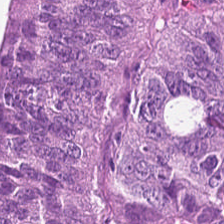Stain: H&E-stained tissue section.
Tissue: colorectal adenocarcinoma.
